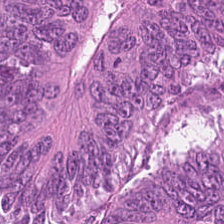Tissue type — adenocarcinoma.
